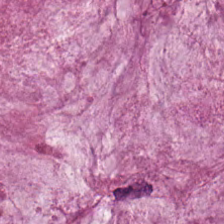Stain: hematoxylin-and-eosin stained section.
Acquisition: brightfield.
Tissue: mucus.
